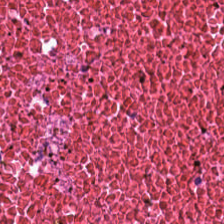Hematoxylin and eosin — This field is cellular debris.
